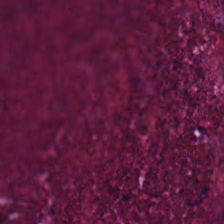224×224 px tile; H&E — The tissue class is necrotic debris.
